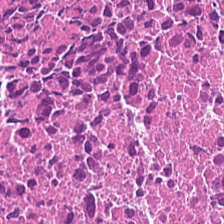H&E stain.
This field is cellular debris.
